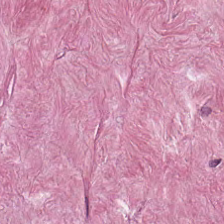Stain: hematoxylin-and-eosin stained section.
Tissue type: tumor-associated stroma.
